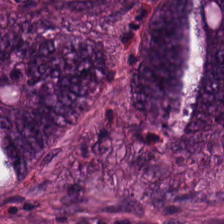{"tissue_type": "colorectal adenocarcinoma epithelium"}
